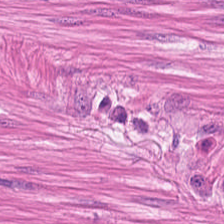Brightfield · hematoxylin and eosin. Q: What tissue is shown?
A: It is smooth-muscle tissue.
